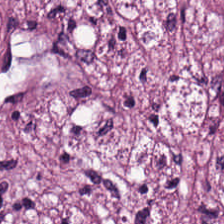H&E. Predominantly desmoplastic stroma.
